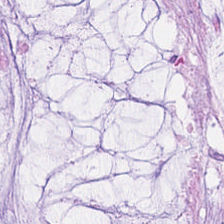H&E-stained tissue section — Showing mucus.
